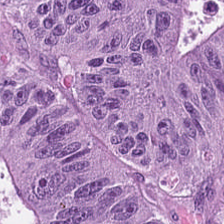H&E.
{"tissue_type": "adenocarcinoma"}
